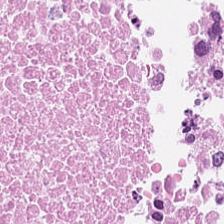Hematoxylin-and-eosin stained section.
This field is debris.
